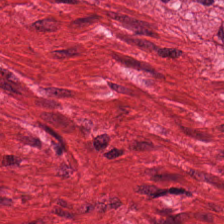This patch shows muscularis.
